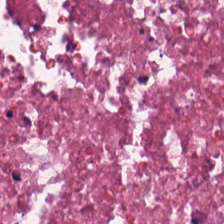0.5 microns per pixel · hematoxylin-and-eosin stained section.
Predominant tissue — debris.
